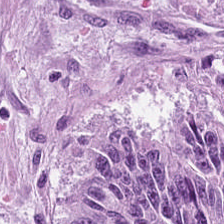H&E stain.
This patch shows colorectal adenocarcinoma.
